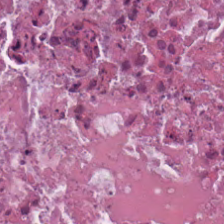This patch shows debris.
